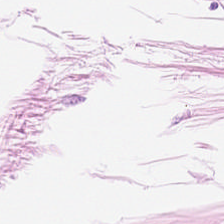Stain: H&E-stained tissue section.
Tissue class: adipose tissue.
